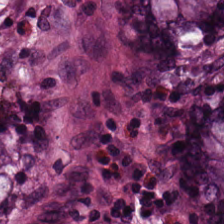Stain: H&E.
Tissue: non-neoplastic colon mucosa.
